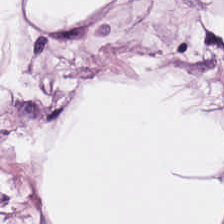H&E stain. This patch shows adipose tissue.
